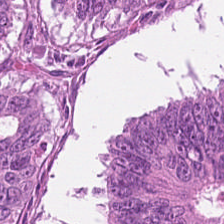224×224 px patch. Whole-slide-image patch. H&E-stained tissue section. Q: What is the predominant tissue type?
A: It is tumor epithelium.
